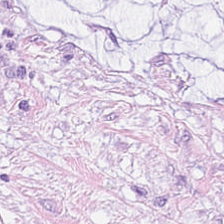The tissue here is mucus.
